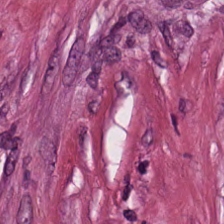H&E-stained tissue section — The tissue here is tumor-associated stroma.
